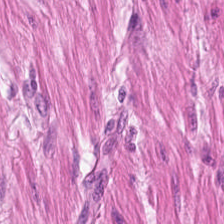Predominant tissue: muscularis.
